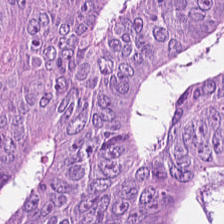WSI patch. H&E — Classification = tumor epithelium.
